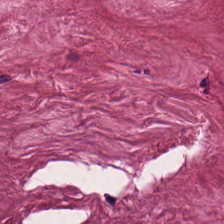Hematoxylin-and-eosin stained section. Impression — cancer-associated stroma.
